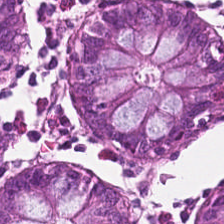Histology → non-neoplastic colon mucosa.
